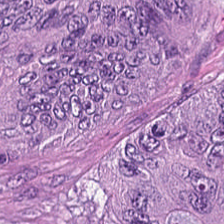H&E stain. This patch shows colorectal adenocarcinoma.
